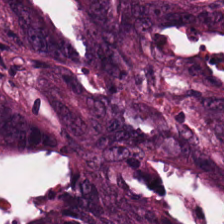H&E stain; brightfield microscopy. Finding → tumor epithelium.
